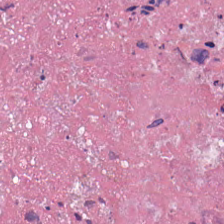H&E stain — Q: Classify this patch.
A: The field shows cellular debris.
